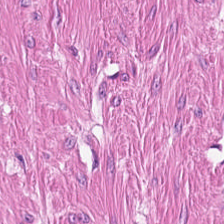Q: What tissue type is shown here?
A: It is smooth muscle.
